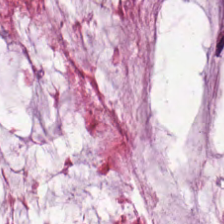0.5 microns per pixel; 224×224 px patch; H&E. The tissue here is mucin.
